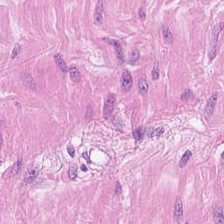Stain: H&E stain.
Predominant tissue: muscularis.
